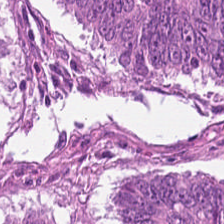Stain: hematoxylin and eosin.
Tissue class: colorectal adenocarcinoma.
